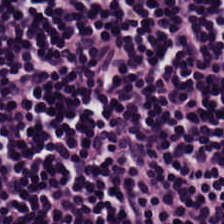H&E-stained tissue section; FFPE. This patch shows lymphocytic infiltrate.
